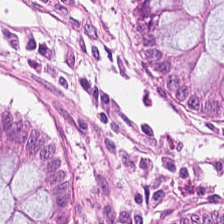224×224 px tile; hematoxylin-and-eosin stained section.
Q: What tissue is shown?
A: This is normal colonic mucosa.
